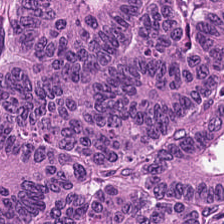FFPE tissue section; H&E. {"tissue_type": "colorectal adenocarcinoma"}
